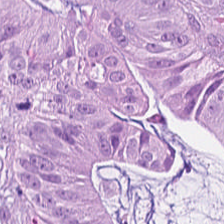H&E-stained section; the field shows adenocarcinoma.
